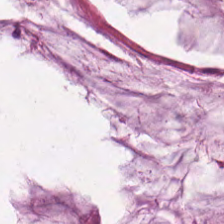H&E-stained tissue section.
Tissue type = mucus.
